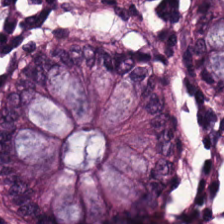The tissue class is normal colonic mucosa.
